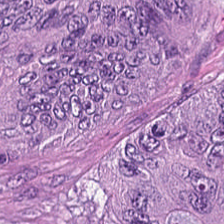Hematoxylin-and-eosin stained section.
Predominant tissue: colorectal adenocarcinoma epithelium.
